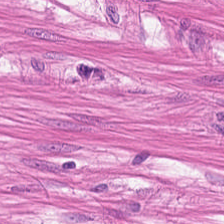Stain: H&E-stained tissue section.
Classification: smooth-muscle tissue.
